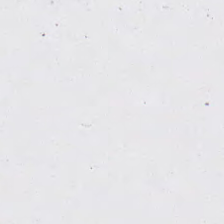Stain: H&E stain.
Acquisition: brightfield.
Field content: empty background.
